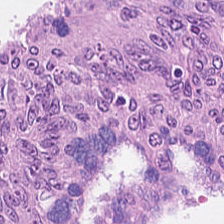Stain: hematoxylin and eosin.
Classification: colorectal adenocarcinoma epithelium.
